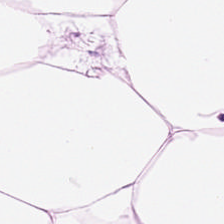H&E-stained section; the field shows fat tissue.
